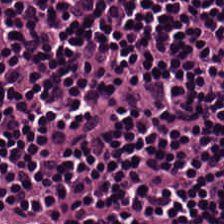FFPE; hematoxylin-and-eosin stained section — Tissue class: lymphocytic infiltrate.
